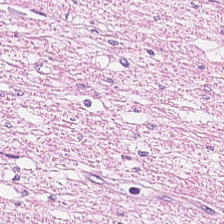This field is smooth-muscle tissue.
